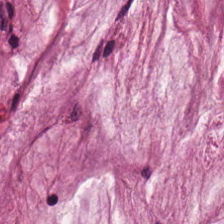Hematoxylin-and-eosin stained section · whole-slide-image patch. Tissue type = mucin.
